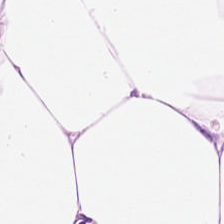Finding — adipocytes.
